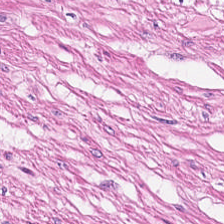Hematoxylin and eosin — This field is muscularis.
